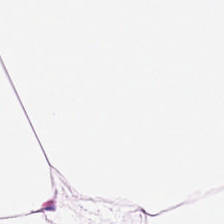224×224 px patch · hematoxylin-and-eosin stained section.
Finding → fat tissue.
